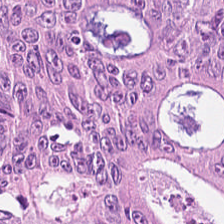Hematoxylin-and-eosin stained section — The classification is malignant epithelium.
